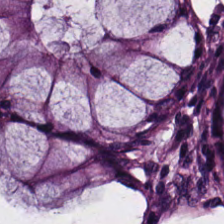Stain: H&E.
Classification: normal colon mucosa.
